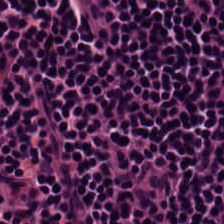Hematoxylin-and-eosin stained section — {"tissue_type": "lymphocyte aggregate"}
